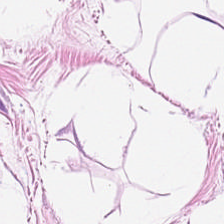Adipose.
